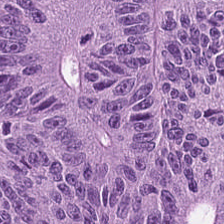H&E patch showing malignant epithelium.
